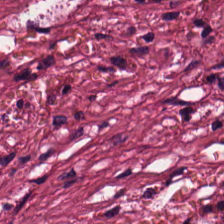224×224 px tile · brightfield microscopy · H&E-stained tissue section — The predominant tissue is tumor-associated stroma.
